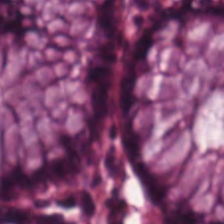Q: What is shown in this field?
A: It is normal colonic mucosa.
